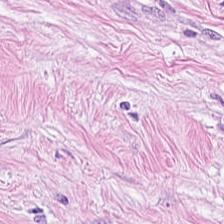FFPE; hematoxylin and eosin — Showing tumor stroma.
